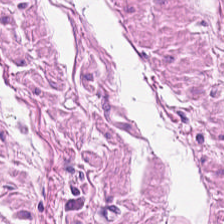H&E-stained tissue section; brightfield microscopy. Smooth muscle.
